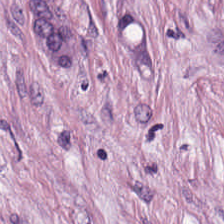Hematoxylin-and-eosin stained section — Desmoplastic stroma.
